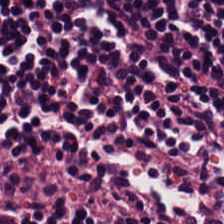Formalin-fixed paraffin-embedded section. H&E-stained tissue section. 0.5 µm per pixel.
Histology → lymphocyte aggregate.
